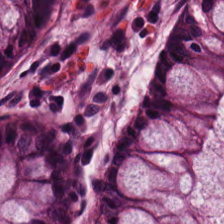H&E; 20× equivalent magnification. The classification is non-neoplastic colon mucosa.
